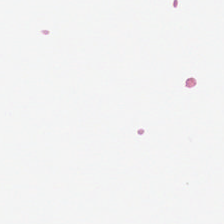Hematoxylin and eosin.
Q: Classify this patch.
A: This is empty background.
